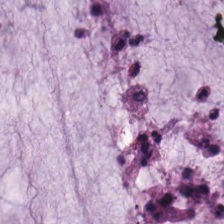224×224 px patch · H&E · formalin-fixed paraffin-embedded section.
The tissue here is mucus.
